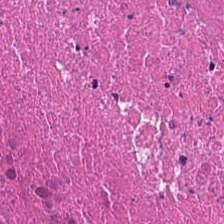H&E-stained tissue section — Tissue = necrotic debris.
